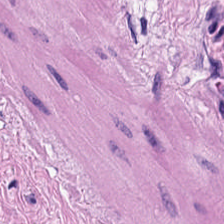H&E; FFPE tissue section — {"tissue_type": "smooth-muscle tissue"}
